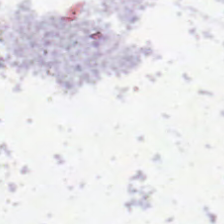{"content": "empty background"}
